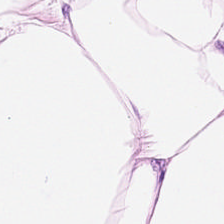H&E stain — This patch shows adipocytes.
